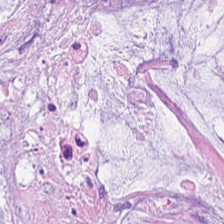H&E. Classification — extracellular mucin.
